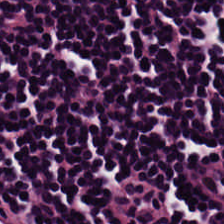Hematoxylin-and-eosin stained section. Brightfield — Finding → lymphoid infiltrate.
